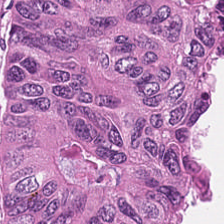Hematoxylin-and-eosin stained section. Tissue type — debris.
